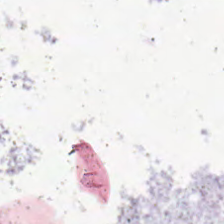Background — no tissue in this field.
